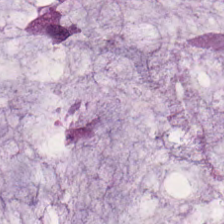Brightfield. Hematoxylin-and-eosin stained section.
Classification: mucin.
